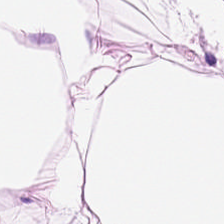WSI patch. Hematoxylin and eosin — {"tissue_type": "adipose"}
